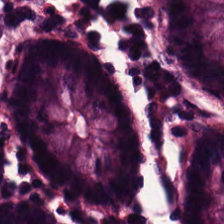H&E; 0.5 microns per pixel.
Histology → normal colon mucosa.
